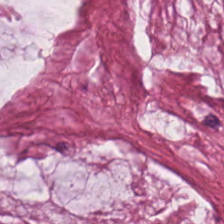Histology → extracellular mucin.
